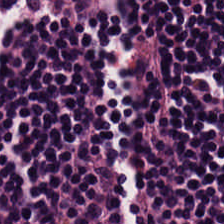Hematoxylin-and-eosin stained section.
Tissue — lymphoid infiltrate.
